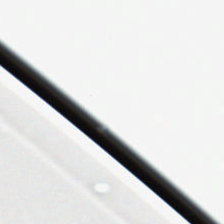Stain: H&E-stained tissue section.
Content: background.
